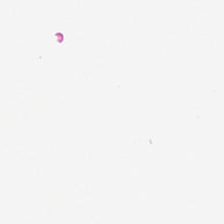H&E stain.
Q: What does this patch show?
A: The field shows background.
